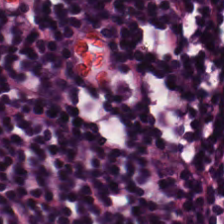H&E stain — Classification = lymphoid infiltrate.
